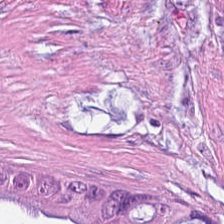Hematoxylin and eosin. Q: What is the predominant tissue type?
A: This is mucus.
